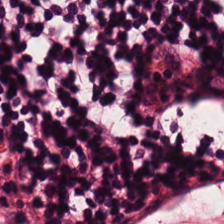WSI patch. 0.5 microns per pixel. H&E stain — The predominant tissue is lymphocyte aggregate.
